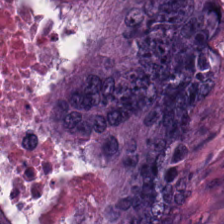H&E-stained tissue section showing colorectal adenocarcinoma.
